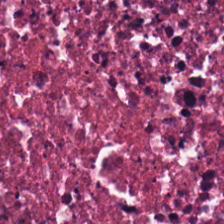H&E stain · 224×224 px tile. Finding → cellular debris.
